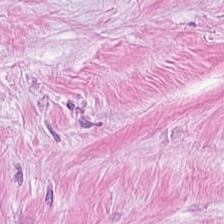Hematoxylin-and-eosin stained section · FFPE · 0.5 µm/px — This patch shows cancer-associated stroma.
